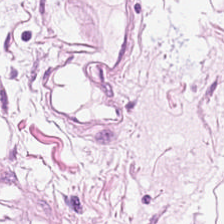H&E-stained tissue section showing adipocytes.
